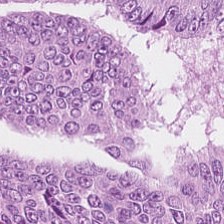Hematoxylin-and-eosin stained section · whole-slide-image patch — The tissue here is colorectal adenocarcinoma.
